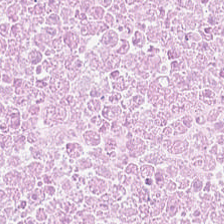Stain: H&E.
Predominant tissue: cellular debris.
